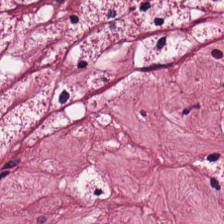0.5 µm/px. FFPE tissue section. H&E — Finding → tumor stroma.
